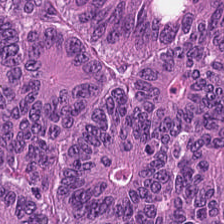Stain: H&E-stained tissue section.
Tissue type: colorectal adenocarcinoma.
